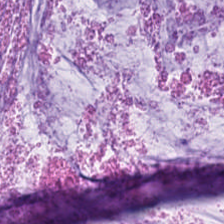Hematoxylin-and-eosin stained section. Predominantly mucus.
